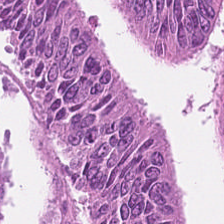Hematoxylin and eosin. 224×224 px tile. The tissue is adenocarcinoma.
